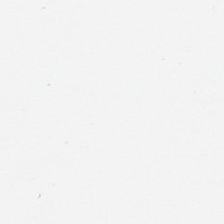Hematoxylin and eosin — Background — no tissue in this field.
